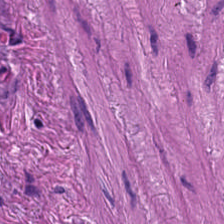Stain: H&E stain.
Tile size: 224×224 px tile.
Preparation: FFPE.
Predominant tissue: muscularis.
